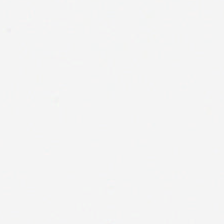Hematoxylin and eosin. Classification — empty background.
